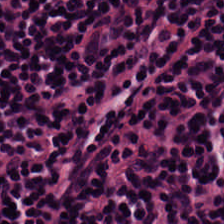Hematoxylin and eosin; whole-slide-image patch — This patch shows lymphocytes.
